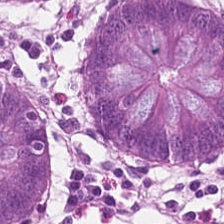Hematoxylin and eosin; FFPE tissue section.
The predominant tissue is non-neoplastic colon mucosa.
